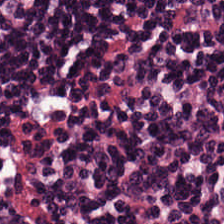H&E stain. {"tissue_type": "lymphocyte aggregate"}
